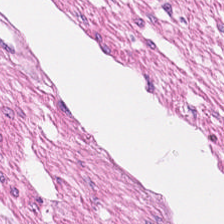H&E — The tissue is smooth muscle.
